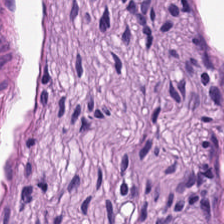H&E.
Q: Classify this patch.
A: This is muscularis.
